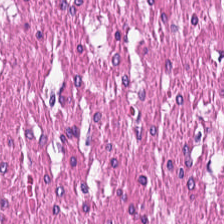The tissue class is smooth-muscle tissue.
